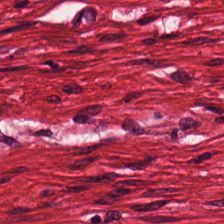Hematoxylin-and-eosin stained section — Showing smooth-muscle tissue.
